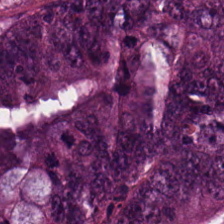Hematoxylin-and-eosin stained section.
This field is colorectal adenocarcinoma epithelium.
